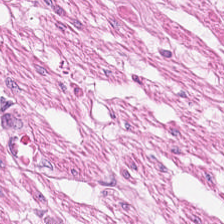Predominantly smooth-muscle tissue.
